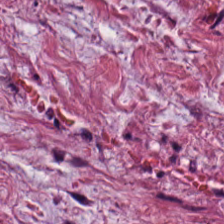0.5 µm per pixel · H&E · FFPE tissue section — {"tissue_type": "tumor-associated stroma"}
